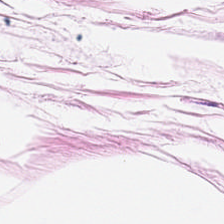H&E. Brightfield. 0.5 µm/px — The predominant tissue is adipocytes.
